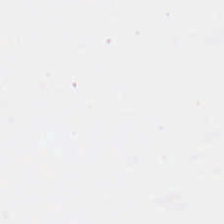Hematoxylin-and-eosin stained section; 0.5 microns per pixel; 224×224 pixel tile — Background — no tissue in this field.
